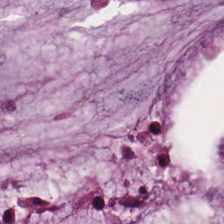Hematoxylin-and-eosin stained section. Finding — extracellular mucin.
